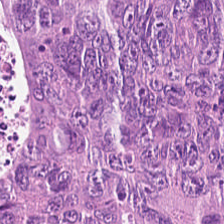H&E patch showing tumor epithelium.
